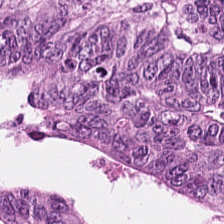Finding — colorectal adenocarcinoma.
